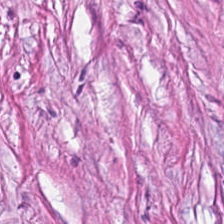Tissue type = tumor-associated stroma.
